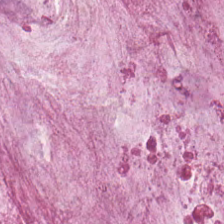H&E. The predominant tissue is mucus.
